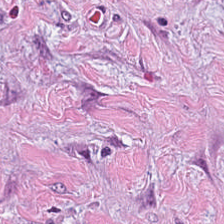Predominant tissue: desmoplastic stroma.
